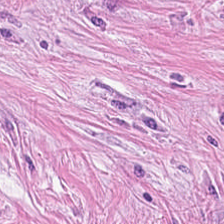FFPE tissue section. Hematoxylin and eosin. The tissue class is cancer-associated stroma.
